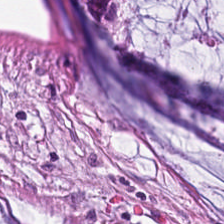WSI patch; hematoxylin-and-eosin stained section; 0.5 µm/px. Q: What is shown here?
A: It is extracellular mucin.
